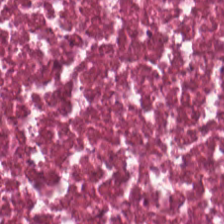Q: What is shown in this field?
A: Necrotic debris.
